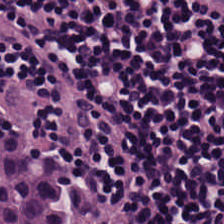H&E stain. 224×224 pixel tile — Predominantly lymphocytic infiltrate.
